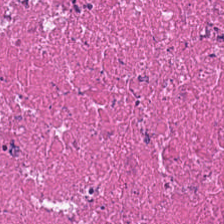Hematoxylin-and-eosin stained section. The predominant tissue is debris.
